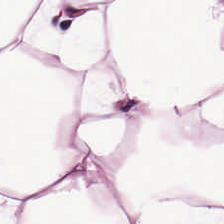0.5 microns per pixel · H&E.
Classification — adipocytes.
